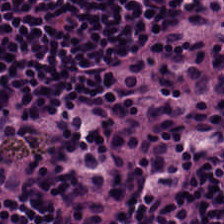H&E-stained tissue section. Impression → lymphocyte aggregate.
